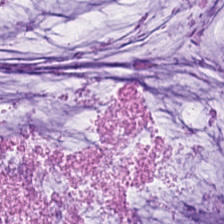FFPE; 0.5 µm per pixel; hematoxylin and eosin. Showing mucin.
